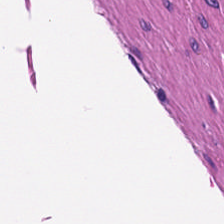Hematoxylin and eosin · brightfield microscopy · 224×224 pixel tile. Finding — smooth muscle.
